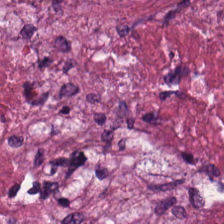The tissue here is debris.
